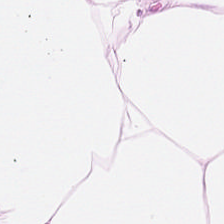H&E-stained tissue section — Histology — adipocytes.
